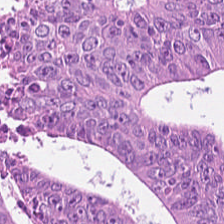H&E stain. Tissue type: tumor epithelium.
